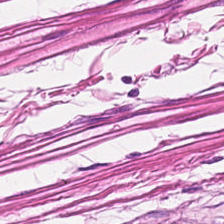H&E-stained tissue section — Finding → muscularis.
